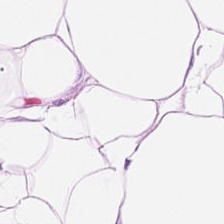Stain: hematoxylin-and-eosin stained section.
Tissue class: fat tissue.
